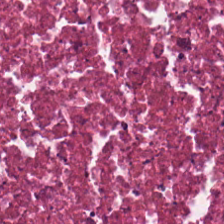Hematoxylin and eosin; formalin-fixed paraffin-embedded section. Classification — cellular debris.
